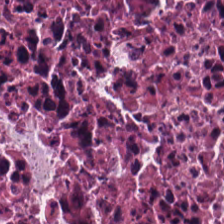H&E-stained tissue section. 224×224 pixel tile. The predominant tissue is necrotic debris.
